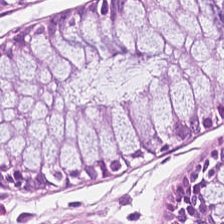Q: What tissue is shown?
A: Normal colonic mucosa.
